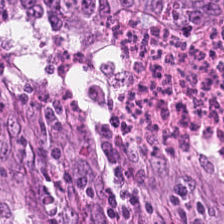224×224 px tile · hematoxylin-and-eosin stained section — {"tissue_type": "tumor epithelium"}
